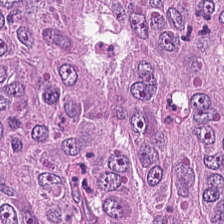Predominantly colorectal adenocarcinoma.
